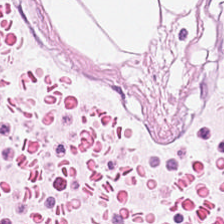H&E stain; 0.5 µm per pixel. Q: What is the predominant tissue type?
A: The field shows adipose.
